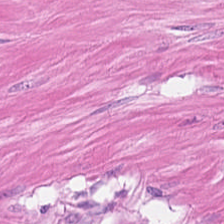Stain: H&E.
Predominant tissue: smooth muscle.
